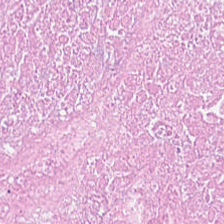H&E — Cellular debris.
